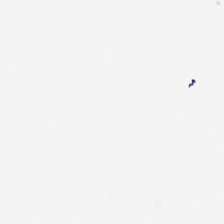H&E. {"content": "background (no tissue)"}
